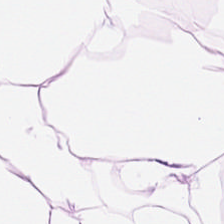224×224 px tile; formalin-fixed paraffin-embedded section; H&E stain. Showing adipose tissue.
